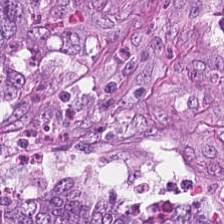H&E-stained tissue section · 224×224 pixel tile — The tissue here is colorectal adenocarcinoma epithelium.
